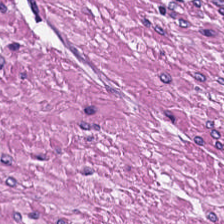Hematoxylin-and-eosin stained section; 224×224 px patch.
The tissue here is muscularis.
